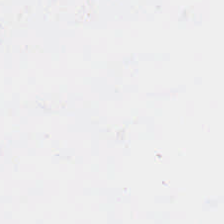Impression → background (no tissue).
